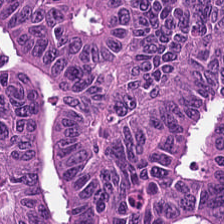Hematoxylin-and-eosin section: adenocarcinoma.
